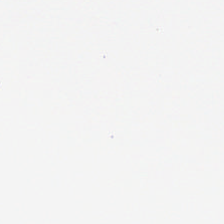H&E stain — Impression — background.
